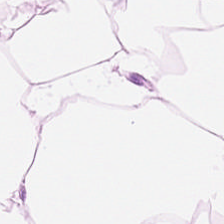Showing adipose tissue.
